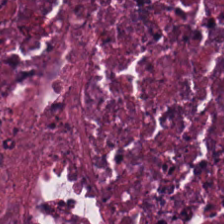H&E patch showing debris.
